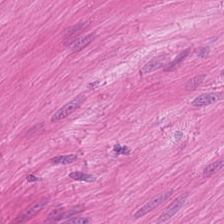H&E — The tissue class is smooth muscle.
